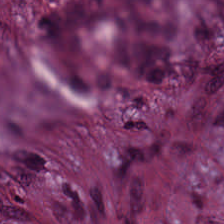Hematoxylin and eosin — The tissue type is desmoplastic stroma.
